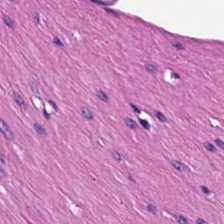Q: What does this patch show?
A: It is smooth muscle.
